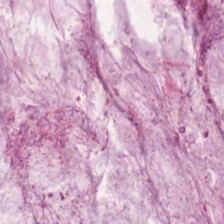Stain: hematoxylin-and-eosin stained section.
Acquisition: brightfield microscopy.
Tissue: mucus.
